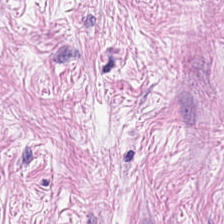224×224 px patch. Hematoxylin-and-eosin stained section.
{"tissue_type": "tumor stroma"}
